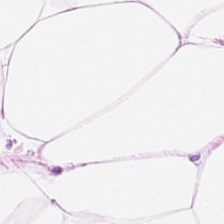H&E; 20× equivalent magnification. Q: What type of tissue is this?
A: It is adipocytes.
